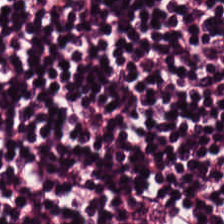H&E.
Histology → lymphocytes.
